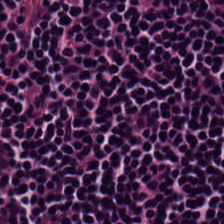H&E stain.
Q: What tissue is shown?
A: This is lymphocytic infiltrate.
